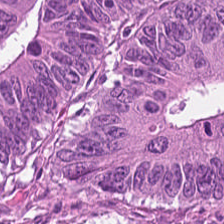FFPE; H&E stain — This patch shows colorectal adenocarcinoma epithelium.
